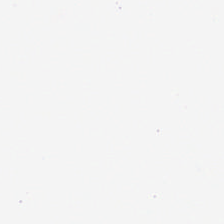Histology → background.
